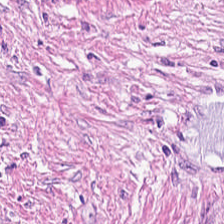Tissue class = tumor-associated stroma.
